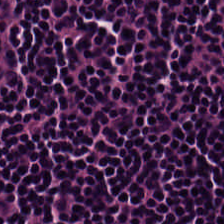Hematoxylin-and-eosin stained section — The tissue is lymphocytes.
